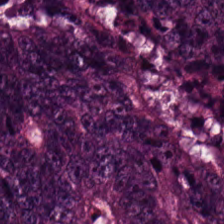Q: What does this patch show?
A: The field shows tumor epithelium.
